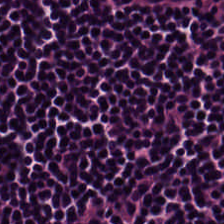Tissue = lymphocytic infiltrate.
